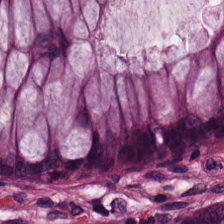H&E. The tissue class is normal colon mucosa.
